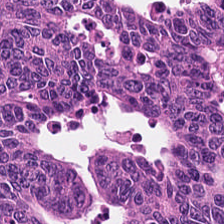H&E stain. 224×224 px tile — Tissue type: malignant epithelium.
